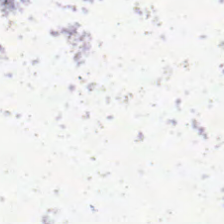This patch shows no tissue.
